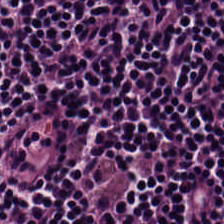Stain: H&E stain.
Classification: lymphocytic infiltrate.
